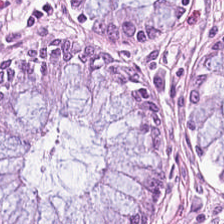WSI patch · 0.5 microns per pixel · H&E stain.
Q: What is shown in this field?
A: This is benign colonic mucosa.
